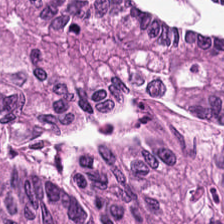Stain: H&E stain.
Acquisition: whole-slide-image patch.
Tissue type: malignant epithelium.
